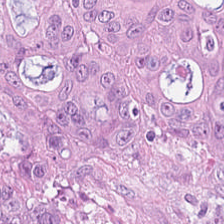0.5 microns per pixel; whole-slide-image patch; H&E-stained tissue section.
This field is adenocarcinoma.
